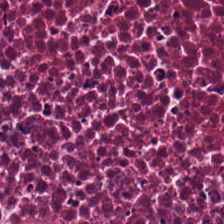Hematoxylin-and-eosin stained section · 20× equivalent magnification. Q: Identify the tissue.
A: It is cellular debris.
